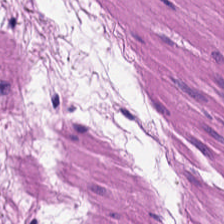Showing smooth-muscle tissue.
